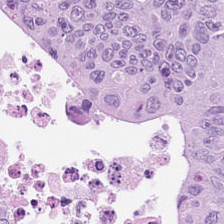Hematoxylin-and-eosin stained section — Tissue type = malignant epithelium.
